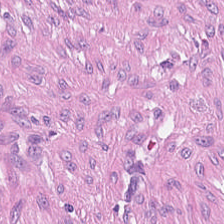H&E stain; 224×224 px patch.
The tissue here is tumor-associated stroma.
